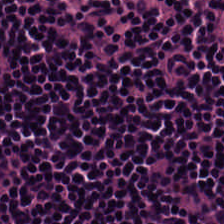Brightfield microscopy · hematoxylin and eosin — The predominant tissue is lymphocytes.
